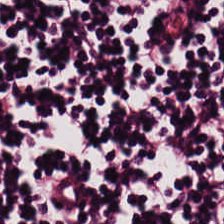0.5 microns per pixel. Hematoxylin-and-eosin stained section. Formalin-fixed paraffin-embedded section — Impression → lymphoid infiltrate.
